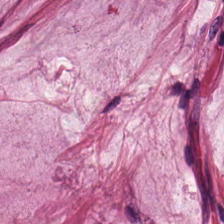Formalin-fixed paraffin-embedded section. 0.5 µm per pixel. Hematoxylin-and-eosin stained section.
The tissue here is mucus.
